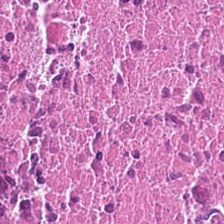H&E stain.
Finding → debris.
